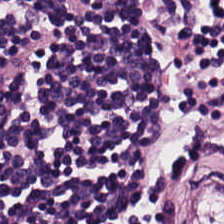Stain: hematoxylin-and-eosin stained section.
Predominant tissue: lymphocytes.
